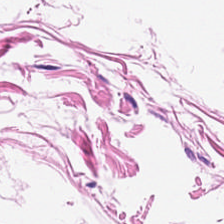The tissue class is adipose.
